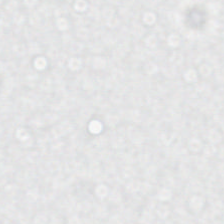H&E-stained tissue section.
The field content is empty background.
